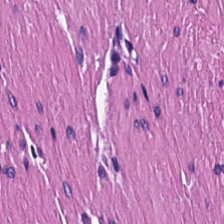FFPE tissue section. Hematoxylin-and-eosin stained section. 0.5 µm per pixel.
The classification is muscularis.
